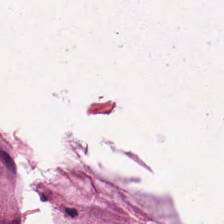224×224 px tile. Hematoxylin-and-eosin stained section. Q: Classify this patch.
A: Extracellular mucin.
